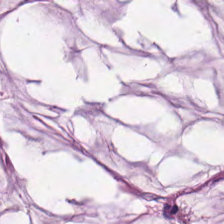Hematoxylin-and-eosin section: extracellular mucin.
